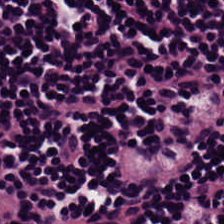Q: What does this patch show?
A: The field shows lymphocytes.
